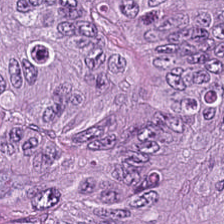Hematoxylin-and-eosin stained section · whole-slide-image patch. Predominant tissue: colorectal adenocarcinoma epithelium.
